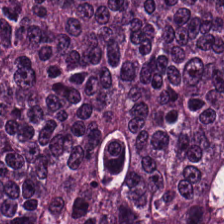H&E-stained tissue section · 224×224 px tile · 0.5 microns per pixel. Adenocarcinoma.
